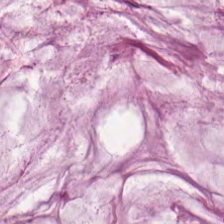Hematoxylin-and-eosin section: mucus.
